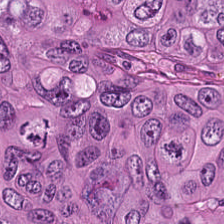Stain: hematoxylin and eosin.
Tissue type: colorectal adenocarcinoma epithelium.
